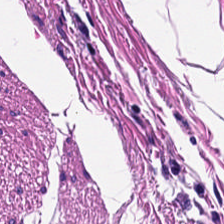Impression — muscularis.
